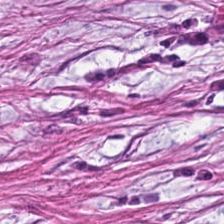Hematoxylin and eosin. FFPE tissue section. 0.5 µm per pixel.
Predominant tissue = tumor stroma.
